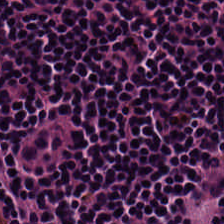WSI patch. H&E-stained tissue section. Showing lymphocytes.
